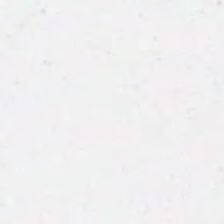FFPE tissue section · H&E stain. This field is background (no tissue).
